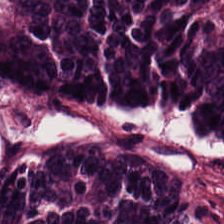Stain: H&E stain.
Resolution: 0.5 microns per pixel.
Tissue type: colorectal adenocarcinoma.
